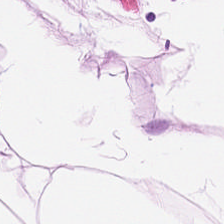Hematoxylin-and-eosin stained section — Q: What is shown in this field?
A: The field shows adipocytes.
